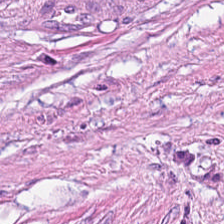224×224 pixel tile; H&E stain; formalin-fixed paraffin-embedded section — Tissue class — tumor stroma.
